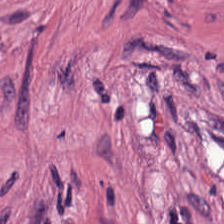H&E-stained tissue section — {"tissue_type": "desmoplastic stroma"}
